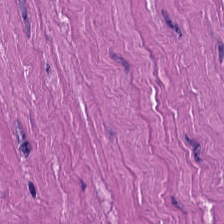H&E stain.
Smooth muscle.
